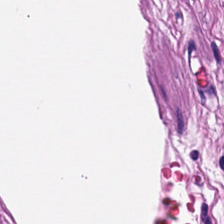H&E — This patch shows muscularis.
